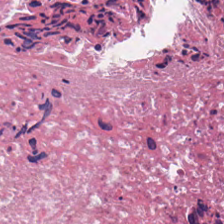H&E. Tissue — necrotic debris.
